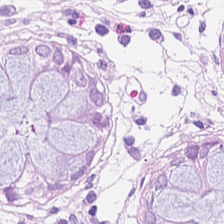Brightfield · H&E stain.
Tissue type — benign colonic mucosa.
